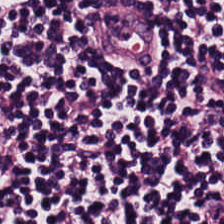Hematoxylin-and-eosin stained section. Tissue class = lymphocytic infiltrate.
